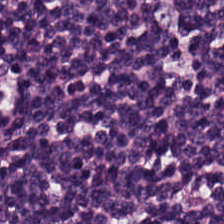20× equivalent magnification; FFPE tissue section; H&E — Q: What is shown in this field?
A: It is lymphocyte aggregate.
